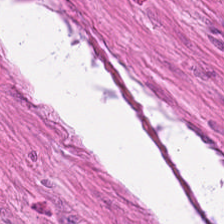Stain: H&E-stained tissue section.
Tissue: smooth-muscle tissue.
